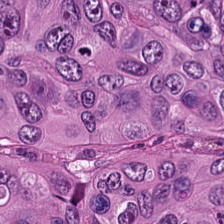Q: What tissue is shown?
A: Tumor epithelium.
